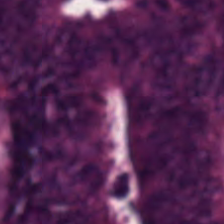This patch shows colorectal adenocarcinoma.
